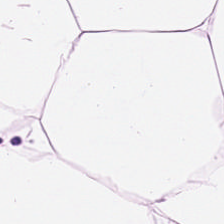Tissue class: adipose tissue.
